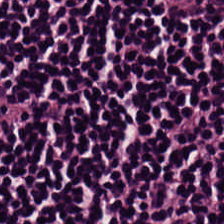H&E-stained tissue section.
Q: What is shown in this field?
A: It is lymphocytic infiltrate.
